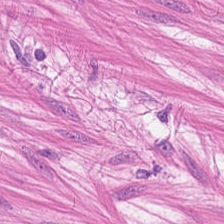Brightfield. H&E. 0.5 µm per pixel — Q: What type of tissue is this?
A: Smooth muscle.
